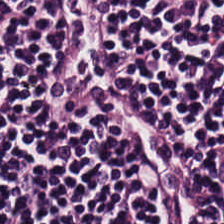Hematoxylin and eosin. Tissue class — lymphocytic infiltrate.
